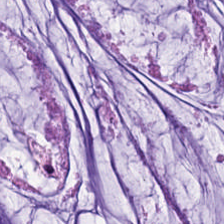The classification is mucin.
